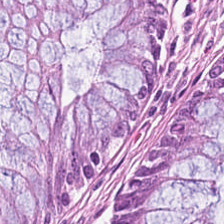Normal colonic mucosa.
